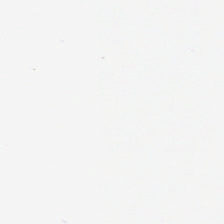Hematoxylin-and-eosin stained section — Q: What does this patch show?
A: This is empty background.
